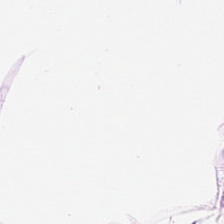Histology → adipose.
